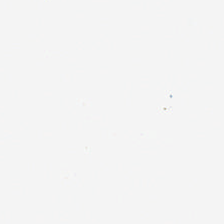Hematoxylin and eosin — Field content = background (no tissue).
